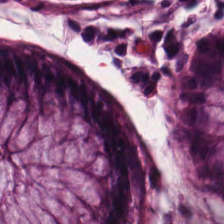H&E. 0.5 µm per pixel — Tissue class: non-neoplastic colon mucosa.
